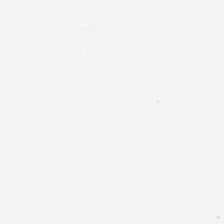H&E stain. No tissue.
